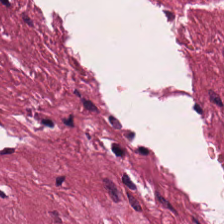Hematoxylin-and-eosin stained section. Predominant tissue — tumor-associated stroma.
